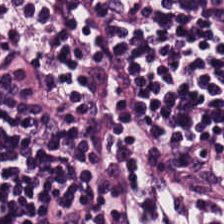H&E-stained tissue section. 20× equivalent magnification — The tissue here is lymphoid infiltrate.
